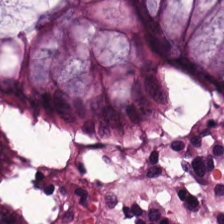Hematoxylin-and-eosin stained section; whole-slide-image patch. The tissue here is benign colonic mucosa.
